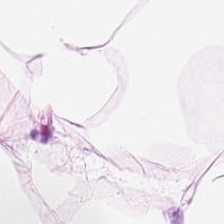H&E stain · FFPE · 0.5 µm per pixel — Finding — fat tissue.
